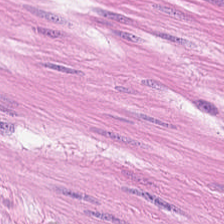Tissue class: smooth-muscle tissue.
